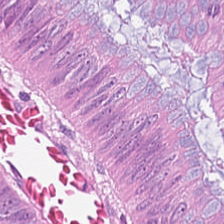H&E. The tissue is tumor epithelium.
